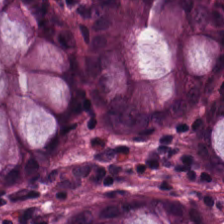0.5 µm per pixel; hematoxylin-and-eosin stained section.
Q: What type of tissue is this?
A: Non-neoplastic colon mucosa.
